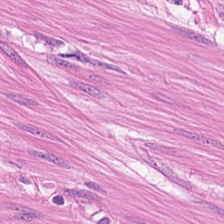H&E stain.
This field is muscularis.
